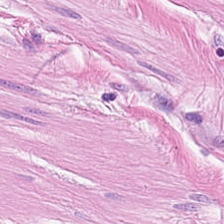Tissue type — smooth muscle.
